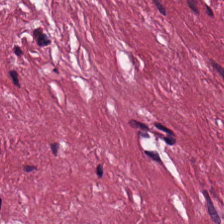H&E-stained tissue section. Q: What tissue is shown?
A: It is tumor stroma.
